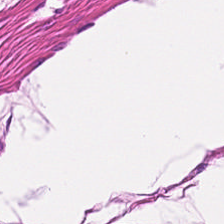Brightfield microscopy. H&E stain. Formalin-fixed paraffin-embedded section. Tissue class = muscularis.
